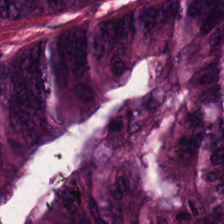H&E stain. FFPE.
Tissue class = tumor epithelium.
